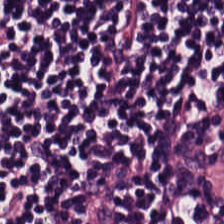H&E.
This patch shows lymphoid infiltrate.
